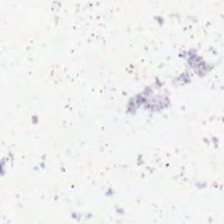Hematoxylin and eosin. Brightfield microscopy. 224×224 pixel tile.
This field is background (no tissue).
